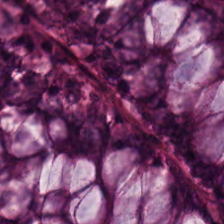Hematoxylin and eosin. {"tissue_type": "normal colonic mucosa"}
